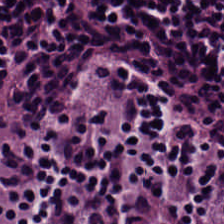Hematoxylin-and-eosin stained section — Lymphoid infiltrate.
